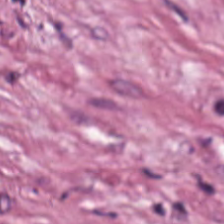H&E stain. The tissue here is tumor-associated stroma.
